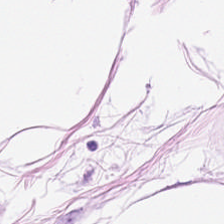Finding → adipose tissue.
